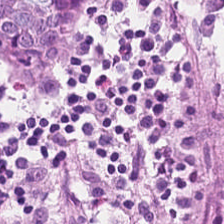Whole-slide-image patch · 0.5 microns per pixel · hematoxylin and eosin. Q: What is the predominant tissue type?
A: The field shows normal colonic mucosa.
